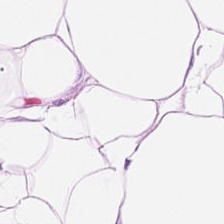0.5 µm per pixel; H&E.
The predominant tissue is adipose.
